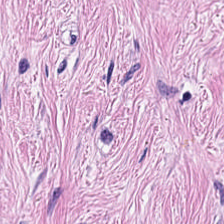H&E-stained section; the field shows desmoplastic stroma.
